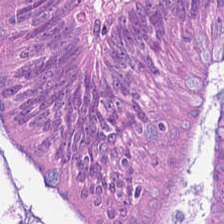H&E patch showing adenocarcinoma.
